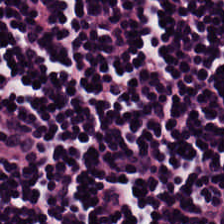Stain: hematoxylin-and-eosin stained section.
Acquisition: brightfield microscopy.
Preparation: formalin-fixed paraffin-embedded section.
Tissue: lymphocyte aggregate.
